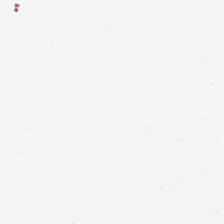Classification = background.
